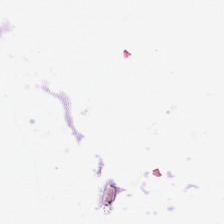H&E; FFPE tissue section; brightfield — Field content = background (no tissue).
